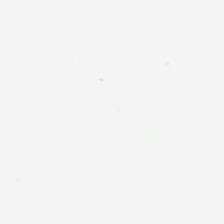224×224 px patch; 20× equivalent magnification; hematoxylin-and-eosin stained section — Impression — no tissue.
